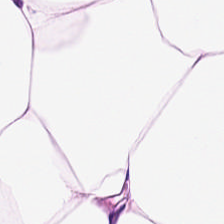Classification — adipocytes.
